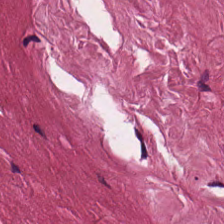Hematoxylin and eosin — This field is cancer-associated stroma.
